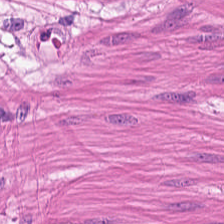Q: What is shown here?
A: Muscularis.
